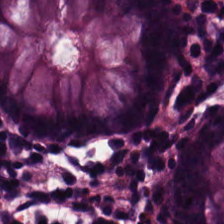{"tissue_type": "non-neoplastic colon mucosa"}
